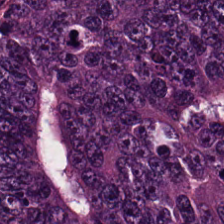Hematoxylin-and-eosin stained section. Q: What is the predominant tissue type?
A: The field shows colorectal adenocarcinoma epithelium.
